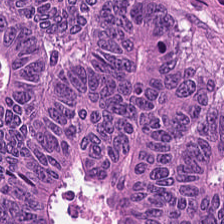H&E-stained tissue section showing colorectal adenocarcinoma epithelium.
